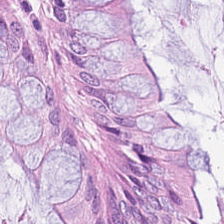FFPE tissue section; H&E-stained tissue section — Q: What tissue type is shown here?
A: It is normal colonic mucosa.
